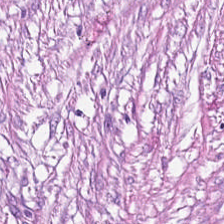Hematoxylin and eosin. Brightfield. This field is cancer-associated stroma.
